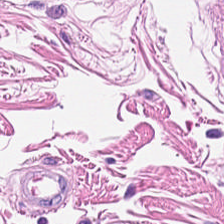224×224 px tile. Formalin-fixed paraffin-embedded section. H&E stain.
Q: What type of tissue is this?
A: Smooth-muscle tissue.
